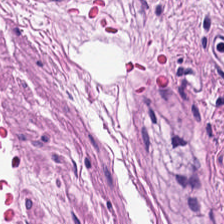Hematoxylin and eosin. Tissue type: smooth muscle.
